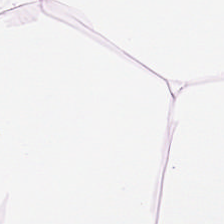20× equivalent magnification; H&E stain; 224×224 pixel tile. The tissue type is fat tissue.
